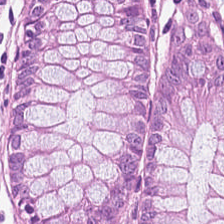Hematoxylin-and-eosin stained section — Predominantly normal colon mucosa.
